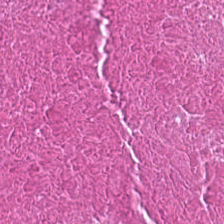Q: Classify this patch.
A: It is cellular debris.
